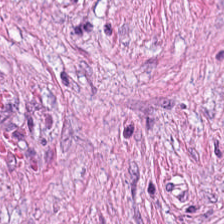Stain: H&E stain.
Tissue: cancer-associated stroma.
